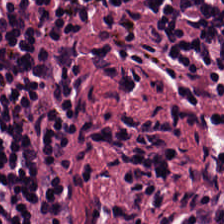Hematoxylin and eosin; FFPE tissue section; 224×224 px tile.
This patch shows lymphocyte aggregate.
